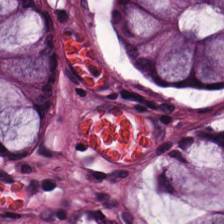Classification — normal colon mucosa.
